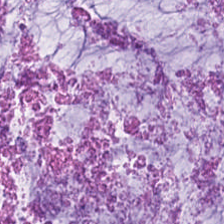224×224 px tile · H&E stain.
The predominant tissue is extracellular mucin.
